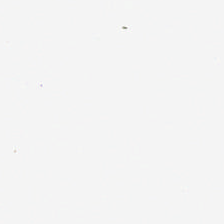Hematoxylin and eosin; 0.5 µm per pixel.
This field is background (no tissue).
